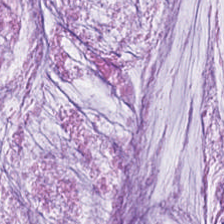Whole-slide-image patch. 20× equivalent magnification. H&E. The tissue here is extracellular mucin.
